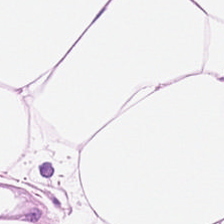Hematoxylin-and-eosin stained section. The tissue type is adipocytes.
